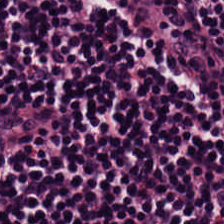H&E-stained tissue section showing lymphocytic infiltrate.
